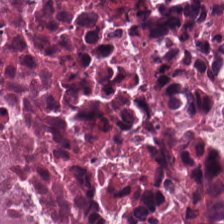Hematoxylin-and-eosin stained section; whole-slide-image patch — Tissue type — cellular debris.
